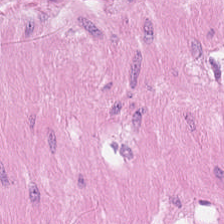224×224 pixel tile; FFPE tissue section; hematoxylin and eosin — Q: What is shown here?
A: Smooth-muscle tissue.
